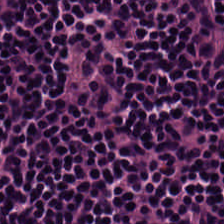Stain: hematoxylin and eosin.
Tissue class: lymphocytic infiltrate.
